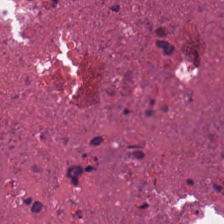Hematoxylin-and-eosin stained section — Tissue = debris.
